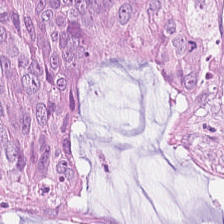Hematoxylin and eosin.
Q: Identify the tissue.
A: This is colorectal adenocarcinoma epithelium.
